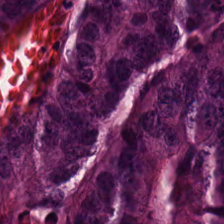Classification = colorectal adenocarcinoma epithelium.
